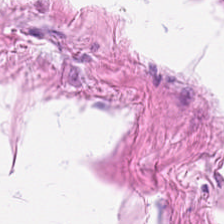H&E stain. Impression — smooth-muscle tissue.
